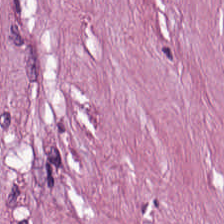0.5 µm per pixel. H&E-stained tissue section — Q: Classify this patch.
A: The field shows tumor-associated stroma.
